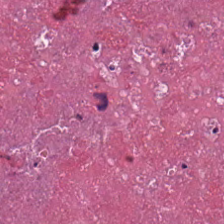FFPE tissue section. 224×224 px patch. H&E stain.
Impression → cellular debris.
